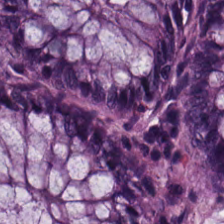FFPE · H&E stain — Normal colonic mucosa.
